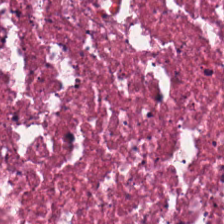224×224 px tile; H&E; whole-slide-image patch — The classification is debris.
